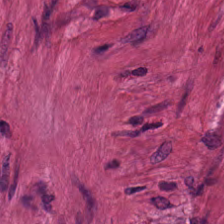Hematoxylin and eosin — Q: What type of tissue is this?
A: The field shows muscularis.
